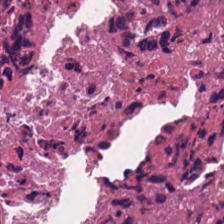Tissue type — debris.
